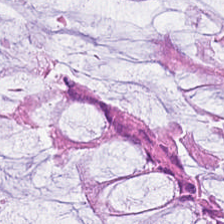H&E-stained section; the field shows non-neoplastic colon mucosa.
